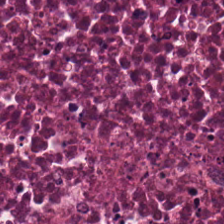Hematoxylin-and-eosin stained section.
Q: What tissue is shown?
A: The field shows cellular debris.
